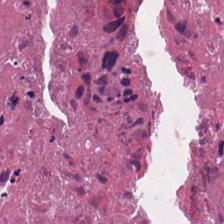Stain: H&E-stained tissue section.
Classification: necrotic debris.
